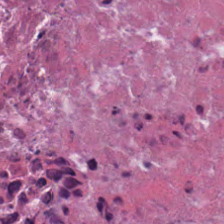Stain: H&E stain.
Tile size: 224×224 px patch.
Tissue type: debris.
